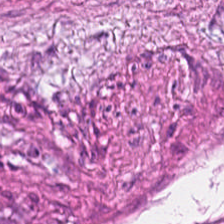224×224 pixel tile; H&E stain. This patch shows desmoplastic stroma.
